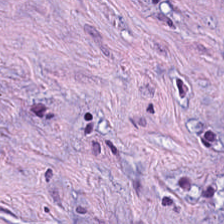H&E stain. The tissue class is cancer-associated stroma.
